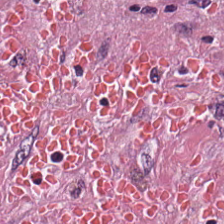Showing tumor-associated stroma.
